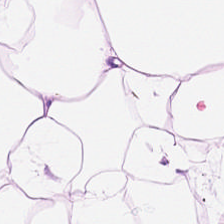{"tissue_type": "fat tissue"}
